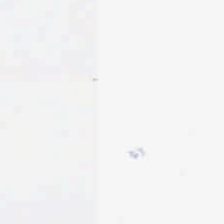Hematoxylin and eosin; brightfield microscopy. The classification is empty background.
